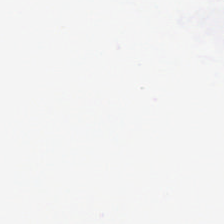The content is background.
